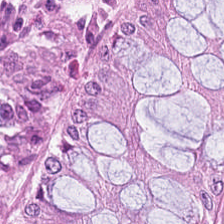Brightfield; hematoxylin and eosin; 0.5 µm/px — The predominant tissue is benign colonic mucosa.
